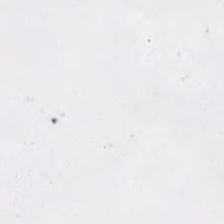Hematoxylin and eosin — Classification = background.
